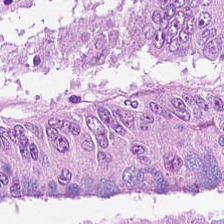20× equivalent magnification · hematoxylin and eosin · brightfield microscopy. Tumor epithelium.
